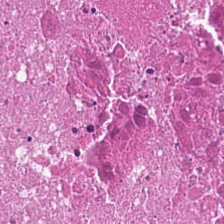224×224 px patch · hematoxylin-and-eosin stained section. Q: What is the predominant tissue type?
A: Cellular debris.
